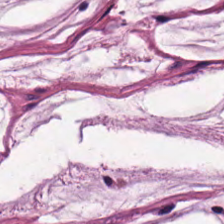Hematoxylin and eosin — This patch shows mucin.
